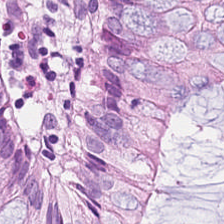0.5 µm per pixel · H&E-stained tissue section.
Q: What does this patch show?
A: It is normal colonic mucosa.
